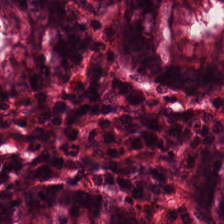224×224 px tile · FFPE tissue section · H&E stain.
{"tissue_type": "benign colonic mucosa"}
